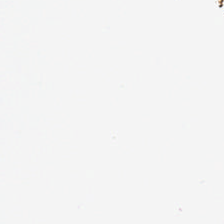No tissue present; background only.
